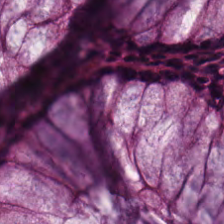Hematoxylin and eosin. The predominant tissue is non-neoplastic colon mucosa.
